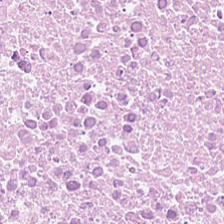Predominantly debris.
